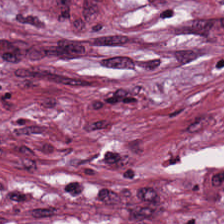20× equivalent magnification. 224×224 px tile. Hematoxylin-and-eosin stained section — Q: What tissue is shown?
A: This is cancer-associated stroma.
